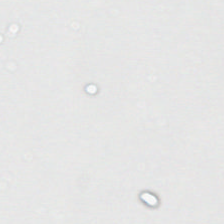H&E-stained tissue section. WSI patch. 0.5 µm per pixel. The classification is background.
